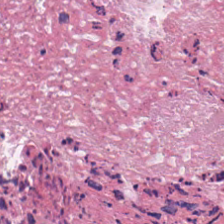The tissue type is debris.
